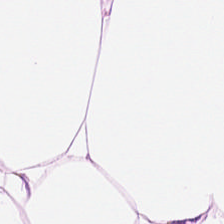Tissue type: adipose tissue.
